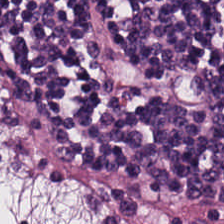H&E-stained tissue section — The predominant tissue is lymphocytic infiltrate.
